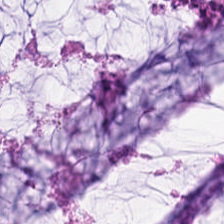Hematoxylin-and-eosin stained section. Formalin-fixed paraffin-embedded section.
The tissue class is extracellular mucin.
